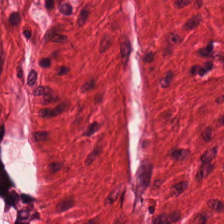H&E stain — Predominantly smooth-muscle tissue.
